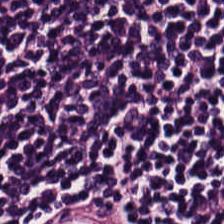Hematoxylin and eosin · 224×224 pixel tile. Q: What is shown in this field?
A: Lymphocytic infiltrate.
